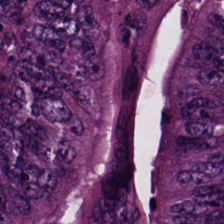0.5 µm per pixel; FFPE tissue section; H&E stain — Q: Identify the tissue.
A: It is malignant epithelium.
